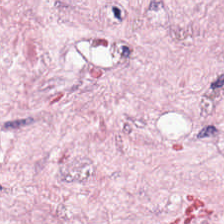H&E-stained tissue section — Predominantly tumor stroma.
